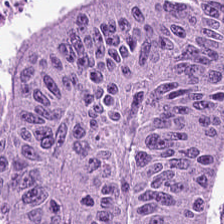Stain: H&E stain.
Tissue type: tumor epithelium.
